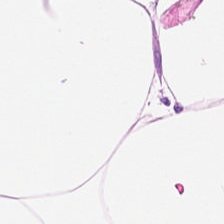Stain: hematoxylin-and-eosin stained section.
Acquisition: brightfield.
Classification: adipocytes.
